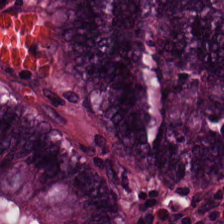224×224 pixel tile · H&E — This patch shows normal colon mucosa.
